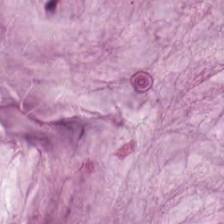0.5 microns per pixel. H&E. Predominant tissue = mucus.
